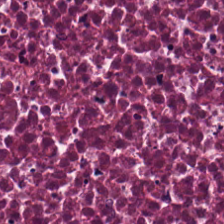Stain: hematoxylin-and-eosin stained section.
Tile size: 224×224 pixel tile.
Acquisition: whole-slide-image patch.
Tissue: necrotic debris.
